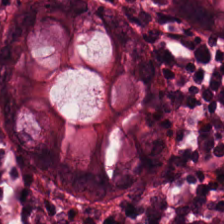H&E-stained tissue section. Impression → benign colonic mucosa.
